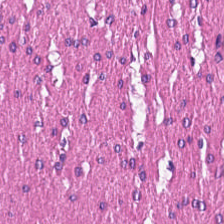Stain: H&E-stained tissue section.
Tissue class: smooth-muscle tissue.
